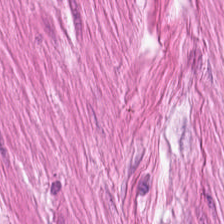0.5 µm/px. H&E-stained tissue section.
Impression — smooth muscle.
